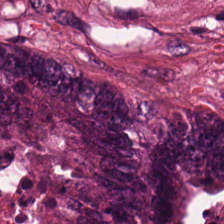Impression → cellular debris.
